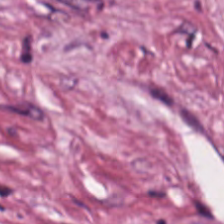H&E stain. Impression → cancer-associated stroma.
